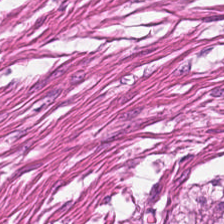Classification = muscularis.
